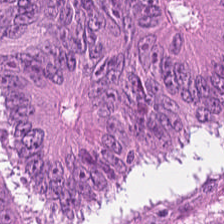Hematoxylin and eosin. Brightfield microscopy. Predominantly adenocarcinoma.
